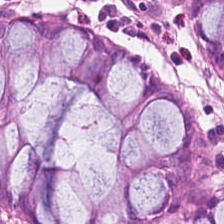Hematoxylin-and-eosin stained section.
Tissue = non-neoplastic colon mucosa.
